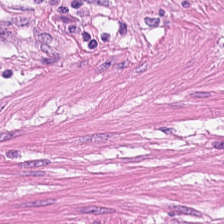Stain: H&E stain.
Predominant tissue: muscularis.
